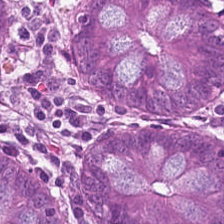H&E-stained section; the field shows normal colon mucosa.
